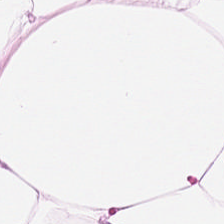Stain: hematoxylin-and-eosin stained section.
Tile size: 224×224 pixel tile.
Resolution: 20× equivalent magnification.
Classification: adipose tissue.
